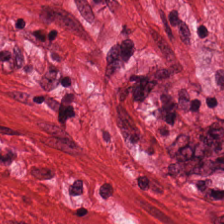Classification — smooth-muscle tissue.
